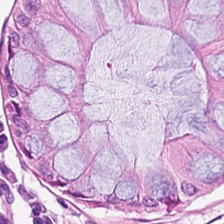Hematoxylin and eosin · FFPE tissue section.
The tissue type is benign colonic mucosa.
